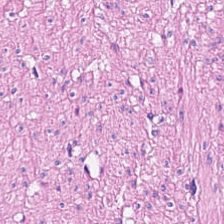Tissue — muscularis.
